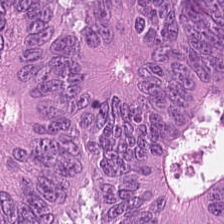224×224 pixel tile · H&E-stained tissue section · whole-slide-image patch. Q: What is shown in this field?
A: The field shows colorectal adenocarcinoma.
